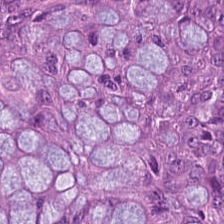Formalin-fixed paraffin-embedded section. Hematoxylin-and-eosin stained section — Q: What is shown here?
A: Tumor epithelium.
